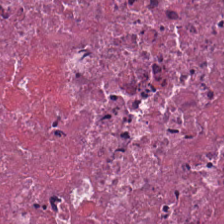H&E stain — This field is necrotic debris.
